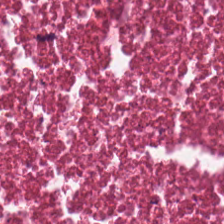FFPE · H&E · whole-slide-image patch.
The tissue class is cellular debris.
